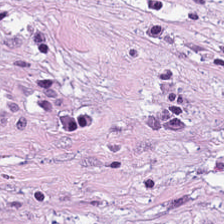224×224 px tile. Brightfield microscopy. H&E.
Showing tumor stroma.
